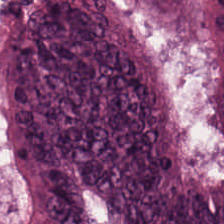Stain: H&E.
Tissue type: colorectal adenocarcinoma epithelium.
